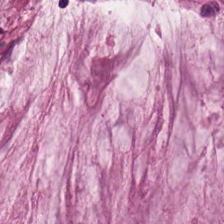Hematoxylin and eosin. This field is mucus.
